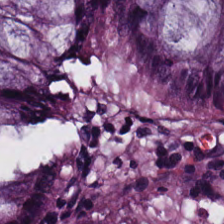0.5 µm/px; H&E stain. The tissue type is benign colonic mucosa.
